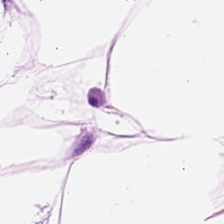H&E; 0.5 microns per pixel — This patch shows adipocytes.
